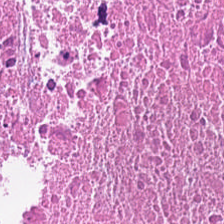Stain: H&E-stained tissue section.
Predominant tissue: debris.
